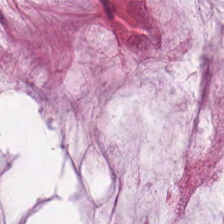Brightfield microscopy · FFPE · H&E.
Predominantly mucus.
